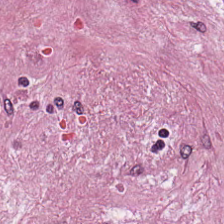Stain: hematoxylin-and-eosin stained section.
Tissue: desmoplastic stroma.
